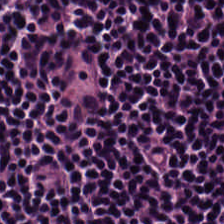H&E stain; brightfield microscopy; 0.5 µm/px — Q: What is the predominant tissue type?
A: It is lymphocytes.
